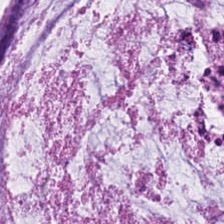Hematoxylin and eosin — Predominantly mucus.
